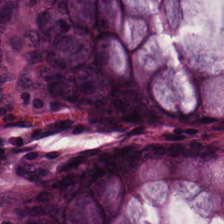H&E-stained tissue section — The tissue type is benign colonic mucosa.
